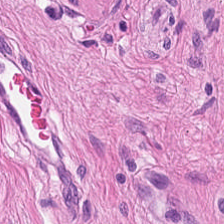H&E — This field is smooth muscle.
